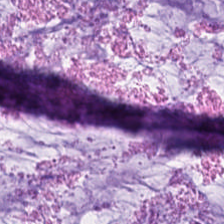H&E. Tissue: mucus.
